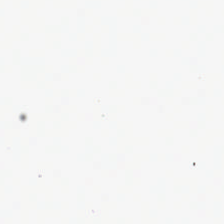Classification — no tissue.
